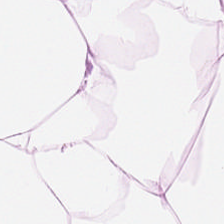FFPE tissue section; 224×224 px tile; hematoxylin-and-eosin stained section. Finding → adipose tissue.
